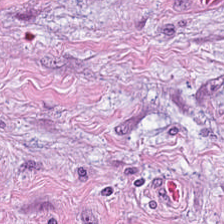H&E-stained tissue section.
Tissue type: tumor stroma.
